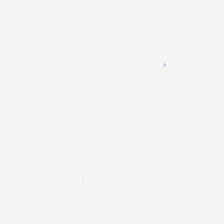H&E-stained tissue section — Content — background (no tissue).
